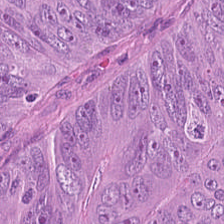224×224 px tile. H&E. Finding — adenocarcinoma.
